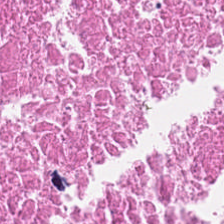Stain: H&E stain.
Acquisition: brightfield microscopy.
Predominant tissue: necrotic debris.
